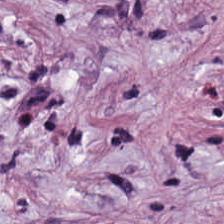Stain: H&E-stained tissue section.
Tissue class: tumor-associated stroma.
